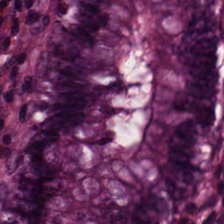Hematoxylin-and-eosin stained section. The predominant tissue is normal colon mucosa.
